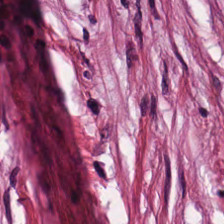Hematoxylin and eosin · 20× equivalent magnification · 224×224 pixel tile — This patch shows desmoplastic stroma.
